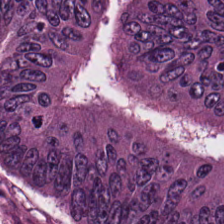FFPE. 0.5 µm/px. H&E. Finding — tumor epithelium.
